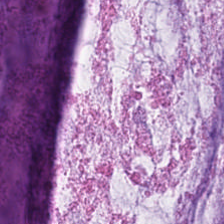H&E-stained tissue section; formalin-fixed paraffin-embedded section.
This field is mucin.
